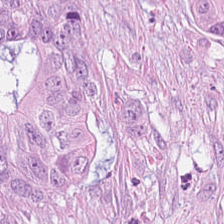0.5 µm/px · H&E stain.
Colorectal adenocarcinoma epithelium.
